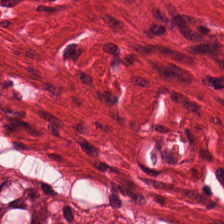0.5 µm per pixel; H&E-stained tissue section.
Showing smooth muscle.
